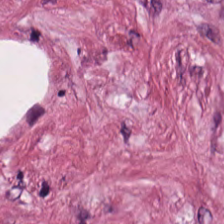H&E stain. This patch shows cancer-associated stroma.
